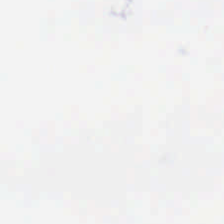Brightfield · 224×224 px tile · H&E stain.
This field is background (no tissue).
